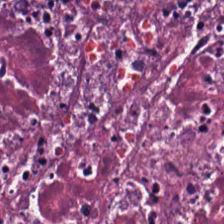Tissue: debris.
